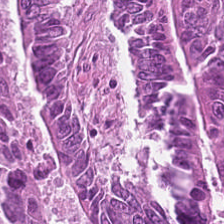Tissue class = colorectal adenocarcinoma epithelium.
